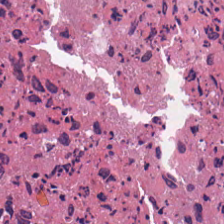H&E stain.
Q: What is the predominant tissue type?
A: It is cellular debris.
